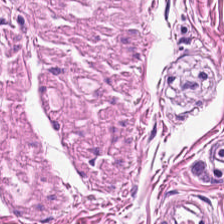H&E-stained tissue section — Histology — smooth muscle.
